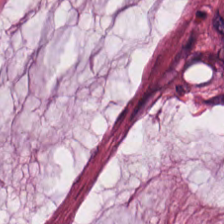Hematoxylin-and-eosin stained section · FFPE — This patch shows mucin.
